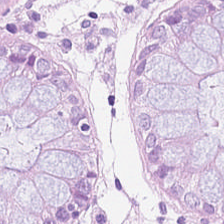0.5 µm/px. H&E stain — This field is normal colonic mucosa.
